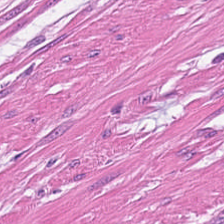Tissue class = smooth muscle.
